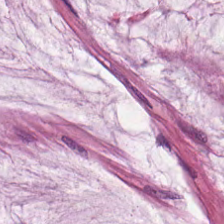Hematoxylin-and-eosin stained section. Q: What type of tissue is this?
A: This is mucin.
